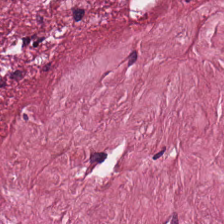Hematoxylin-and-eosin stained section; brightfield microscopy. Tissue type — cancer-associated stroma.
